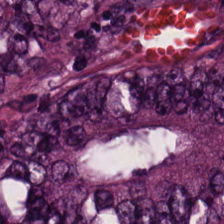H&E.
The tissue here is tumor epithelium.
